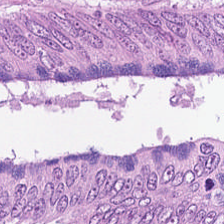H&E stain · FFPE tissue section — Q: What tissue type is shown here?
A: Colorectal adenocarcinoma epithelium.
